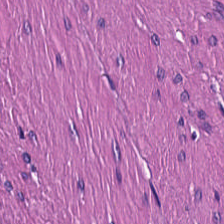Brightfield · H&E · FFPE.
This patch shows smooth-muscle tissue.
